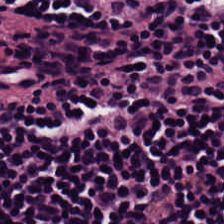H&E stain.
The predominant tissue is lymphocytic infiltrate.
